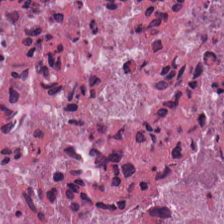Hematoxylin-and-eosin stained section.
Predominantly debris.
